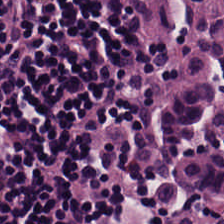Q: What is the predominant tissue type?
A: The field shows lymphocytes.
